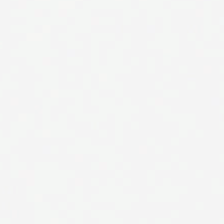Hematoxylin-and-eosin stained section.
Background — no tissue in this field.
